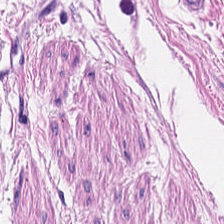Hematoxylin-and-eosin stained section · whole-slide-image patch — Muscularis.
